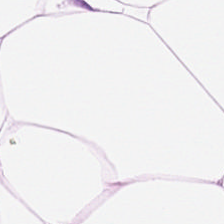Finding — adipocytes.
